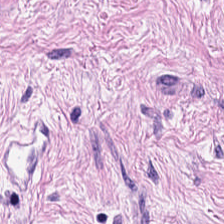Formalin-fixed paraffin-embedded section · H&E stain.
The tissue here is tumor-associated stroma.
